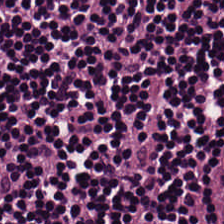Hematoxylin-and-eosin stained section — Showing lymphocytes.
